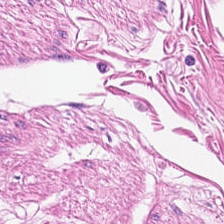H&E stain.
The predominant tissue is muscularis.
